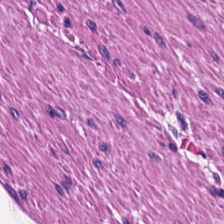224×224 px patch · H&E-stained tissue section — The tissue here is smooth muscle.
